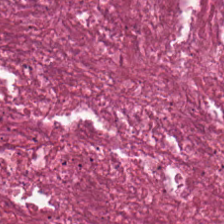{"tissue_type": "debris"}
